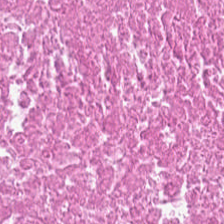This field is debris.
